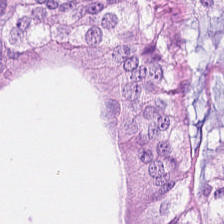Stain: hematoxylin-and-eosin stained section.
Resolution: 0.5 µm per pixel.
Predominant tissue: colorectal adenocarcinoma epithelium.
